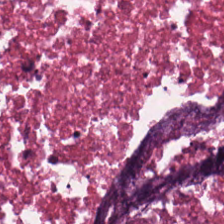224×224 px tile. Hematoxylin-and-eosin stained section. Brightfield. Tissue: cellular debris.
